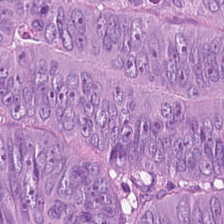Impression → tumor epithelium.
